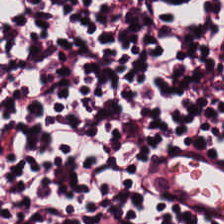This patch shows lymphocyte aggregate.
